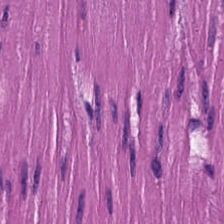This field is smooth-muscle tissue.
